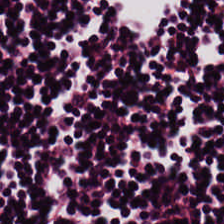Q: What is shown here?
A: Lymphocyte aggregate.
